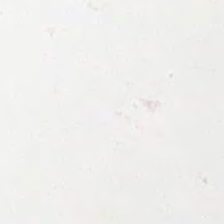224×224 px tile · H&E.
{"content": "background"}
